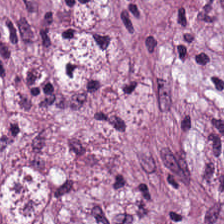Whole-slide-image patch. Hematoxylin and eosin. 20× equivalent magnification.
Showing tumor stroma.
